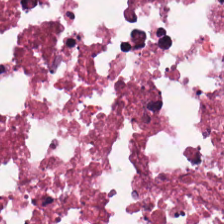H&E.
The tissue here is necrotic debris.
